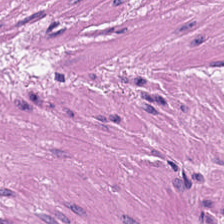224×224 px patch · formalin-fixed paraffin-embedded section · H&E.
The tissue here is smooth muscle.
